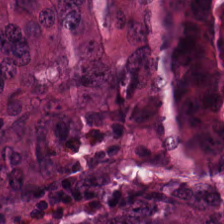Hematoxylin and eosin — Tissue: colorectal adenocarcinoma.
